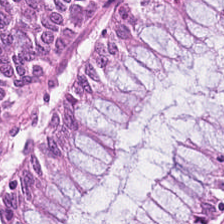Stain: hematoxylin-and-eosin stained section.
Tissue: non-neoplastic colon mucosa.
